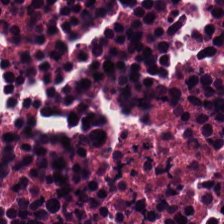H&E. Tissue class: necrotic debris.
